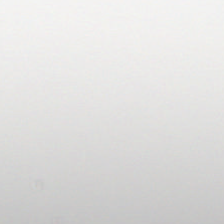Stain: H&E-stained tissue section.
Classification: no tissue.
